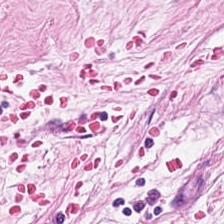Hematoxylin-and-eosin stained section. This field is tumor-associated stroma.
